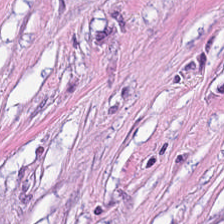Tumor stroma.
